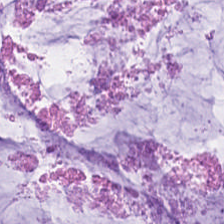Q: What is shown here?
A: The field shows mucin.
